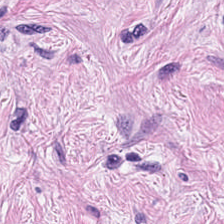The tissue here is desmoplastic stroma.
